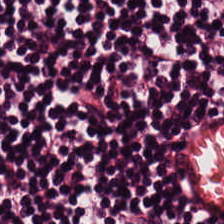Brightfield microscopy. H&E — Q: Classify this patch.
A: Lymphocytic infiltrate.
